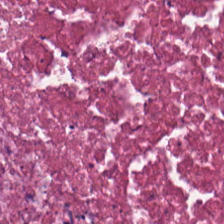Hematoxylin-and-eosin stained section. This field is debris.
